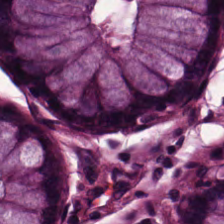WSI patch · 224×224 px patch · hematoxylin and eosin. Tissue = normal colon mucosa.
